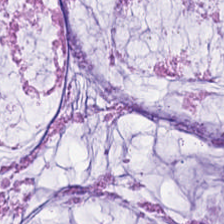H&E. Q: What is shown in this field?
A: It is mucus.
